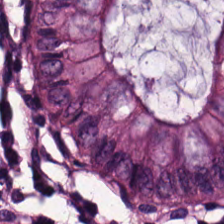Formalin-fixed paraffin-embedded section · H&E stain. Predominant tissue: normal colon mucosa.
